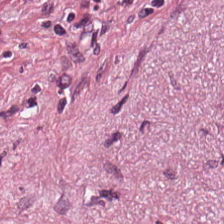H&E stain — This field is tumor-associated stroma.
